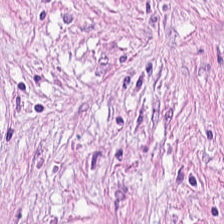H&E-stained tissue section showing tumor-associated stroma.
